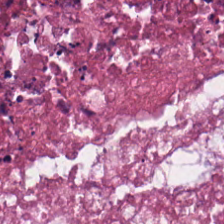The classification is necrotic debris.
